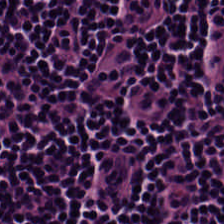Stain: H&E.
Tissue class: lymphocyte aggregate.
